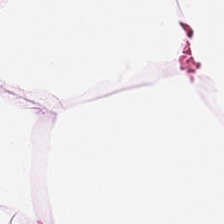Hematoxylin and eosin — Q: What is shown in this field?
A: It is fat tissue.
